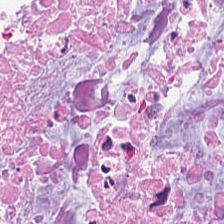H&E — The predominant tissue is debris.
